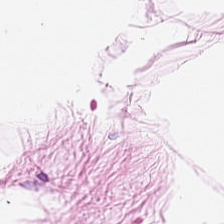H&E patch showing adipose.
